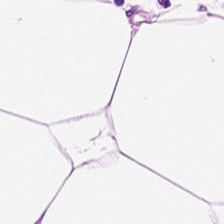0.5 µm/px; H&E; 224×224 pixel tile. Q: What type of tissue is this?
A: Fat tissue.
